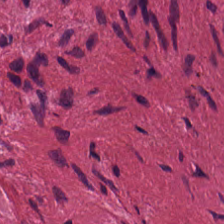Stain: H&E-stained tissue section.
Tissue type: cancer-associated stroma.
